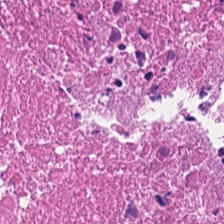Hematoxylin-and-eosin stained section. Predominantly cellular debris.
